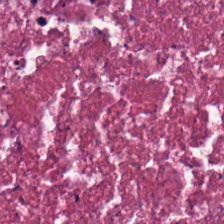Predominantly cellular debris.
